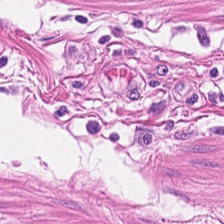FFPE. H&E-stained tissue section. Predominantly smooth-muscle tissue.
